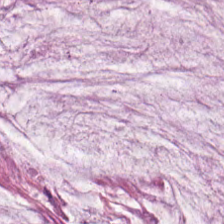H&E stain · brightfield microscopy · 0.5 microns per pixel. Mucin.
